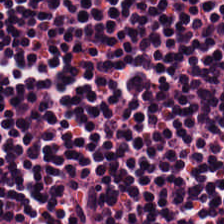WSI patch; 224×224 px patch; hematoxylin and eosin — Q: What tissue type is shown here?
A: Lymphocytic infiltrate.
